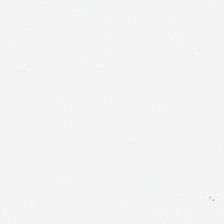Hematoxylin and eosin. Q: What does this patch show?
A: This is no tissue.
